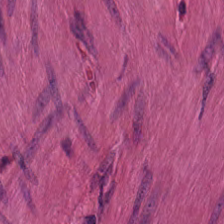20× equivalent magnification · FFPE · hematoxylin-and-eosin stained section.
Q: What is shown in this field?
A: Muscularis.
